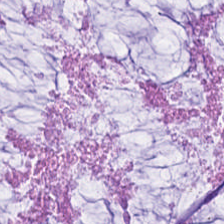224×224 px tile. H&E stain.
The tissue here is mucus.
